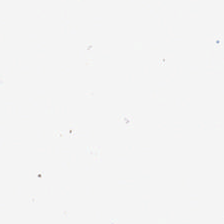20× equivalent magnification. H&E-stained tissue section.
This field is background (no tissue).
